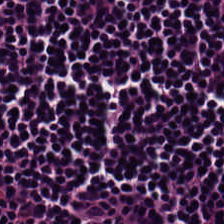Q: What type of tissue is this?
A: Lymphocyte aggregate.
